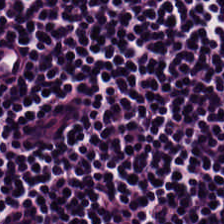Stain: H&E-stained tissue section.
Acquisition: brightfield.
Classification: lymphocytic infiltrate.
